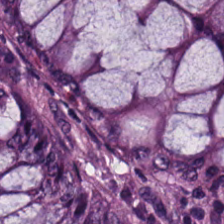FFPE · brightfield microscopy · H&E-stained tissue section.
Showing normal colon mucosa.
